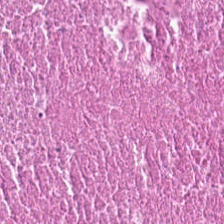Hematoxylin-and-eosin section: necrotic debris.
